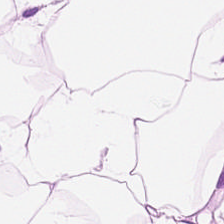H&E.
Histology — fat tissue.
